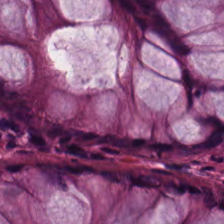Hematoxylin-and-eosin stained section. Tissue type: normal colon mucosa.
